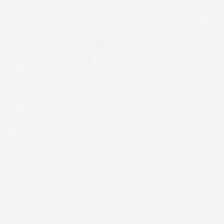Stain: H&E-stained tissue section.
Classification: background (no tissue).
